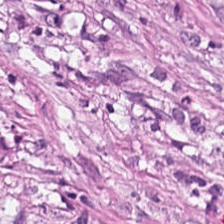224×224 px tile. H&E stain.
Cancer-associated stroma.
